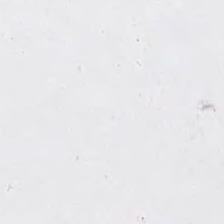Formalin-fixed paraffin-embedded section; H&E-stained tissue section. Q: What does this patch show?
A: It is empty background.
